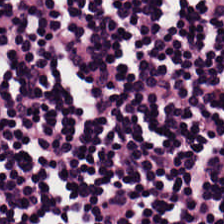H&E stain. {"tissue_type": "lymphocytic infiltrate"}
